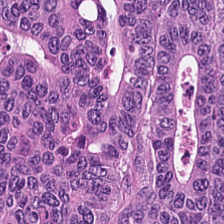0.5 µm per pixel. H&E-stained tissue section. Whole-slide-image patch.
Tissue = adenocarcinoma.
